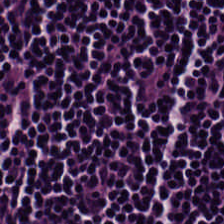Q: What does this patch show?
A: It is lymphocytic infiltrate.
